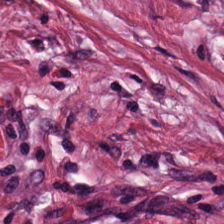H&E · 20× equivalent magnification. Q: What tissue is shown?
A: Desmoplastic stroma.
